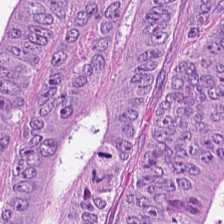Brightfield; H&E stain — This patch shows tumor epithelium.
